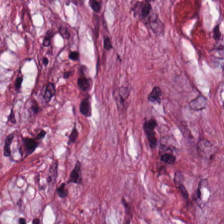H&E stain. FFPE.
Q: What type of tissue is this?
A: Tumor-associated stroma.
